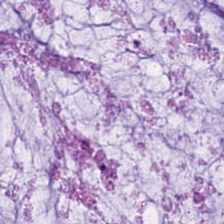H&E. 0.5 microns per pixel. Predominant tissue: extracellular mucin.
